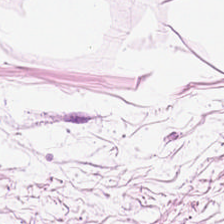Brightfield microscopy. H&E. FFPE tissue section.
Impression — adipose tissue.
